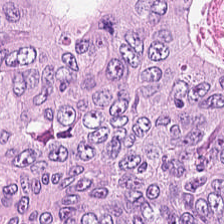H&E.
The predominant tissue is adenocarcinoma.
